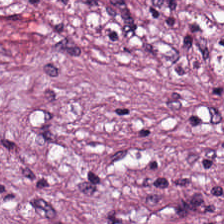Stain: H&E-stained tissue section.
Resolution: 0.5 microns per pixel.
Classification: tumor stroma.
